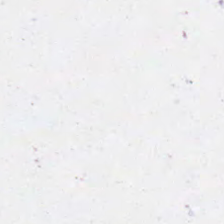0.5 µm/px · H&E-stained tissue section. Classification — no tissue.
